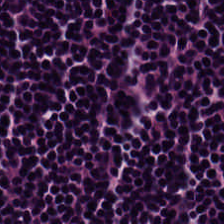H&E. Q: What is the predominant tissue type?
A: This is lymphocytic infiltrate.
